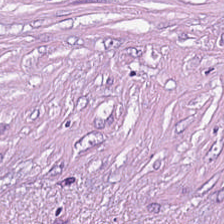H&E stain; brightfield; FFPE tissue section — This field is tumor-associated stroma.
